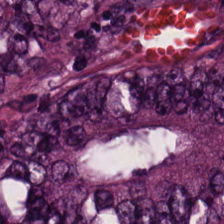Hematoxylin and eosin. The tissue here is tumor epithelium.
